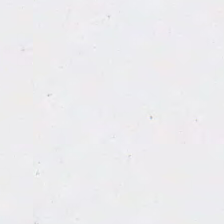H&E stain — Content = background (no tissue).
